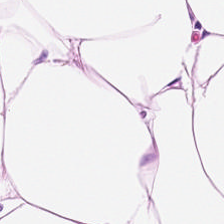Brightfield microscopy · H&E-stained tissue section — {"tissue_type": "adipose"}
